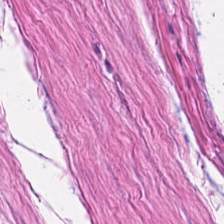H&E.
The tissue here is smooth muscle.
